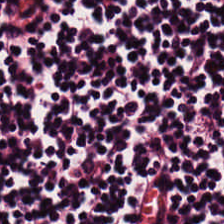Hematoxylin and eosin; 224×224 pixel tile. Showing lymphocytes.
